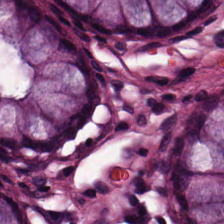Hematoxylin and eosin. Brightfield microscopy.
Q: Identify the tissue.
A: It is normal colon mucosa.
